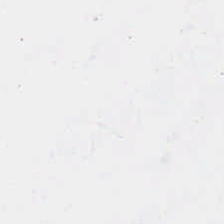H&E. Formalin-fixed paraffin-embedded section. Background — no tissue in this field.
